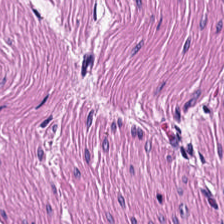H&E.
Showing smooth muscle.
